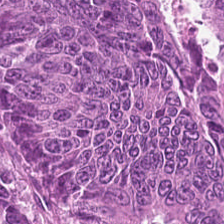H&E-stained section; the field shows colorectal adenocarcinoma epithelium.
